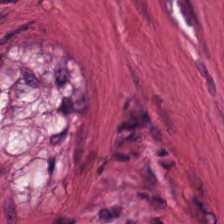Stain: H&E.
Tile size: 224×224 pixel tile.
Predominant tissue: smooth-muscle tissue.
